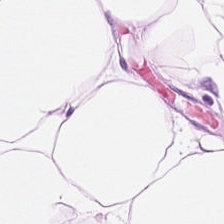{"tissue_type": "fat tissue"}
